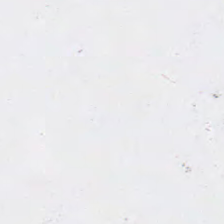Stain: H&E stain.
Tile size: 224×224 px patch.
Preparation: FFPE.
Field content: background.
